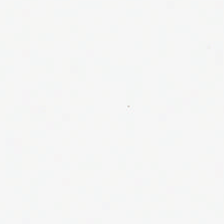Whole-slide-image patch; H&E; 224×224 px tile.
Background (no tissue).
